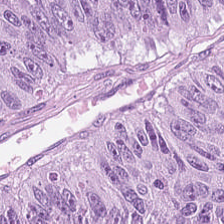Hematoxylin and eosin.
Finding → colorectal adenocarcinoma epithelium.
